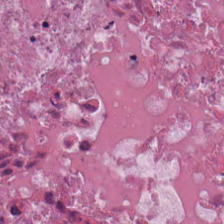Hematoxylin and eosin. Formalin-fixed paraffin-embedded section. Q: Classify this patch.
A: It is necrotic debris.
